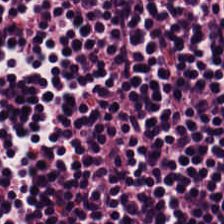H&E.
Predominantly lymphoid infiltrate.
